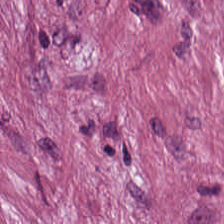Hematoxylin and eosin; FFPE. This field is cancer-associated stroma.
